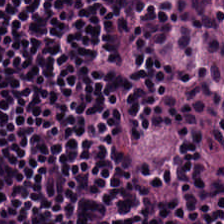224×224 px patch · FFPE · hematoxylin-and-eosin stained section. The tissue is lymphoid infiltrate.
